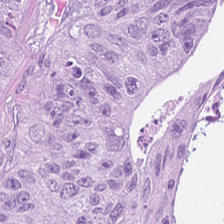Histology → colorectal adenocarcinoma epithelium.
